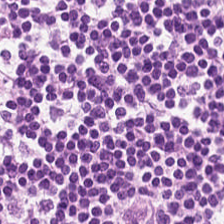Hematoxylin and eosin.
The tissue here is lymphocytic infiltrate.
